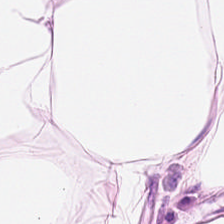Stain: hematoxylin-and-eosin stained section.
Acquisition: brightfield microscopy.
Tissue class: adipose.
